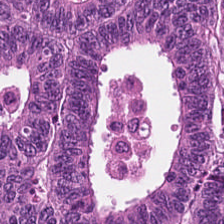H&E-stained tissue section — This field is adenocarcinoma.
